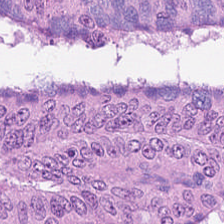Brightfield microscopy; hematoxylin and eosin.
Q: What tissue is shown?
A: It is colorectal adenocarcinoma.
